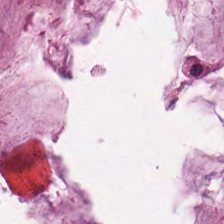FFPE tissue section · hematoxylin-and-eosin stained section.
Q: What does this patch show?
A: It is mucin.
